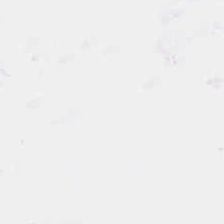Content — background (no tissue).
